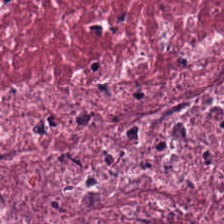Hematoxylin and eosin; 20× equivalent magnification; FFPE — Showing cancer-associated stroma.
